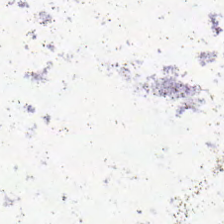H&E; 224×224 pixel tile; brightfield — Q: Classify this patch.
A: It is no tissue.
